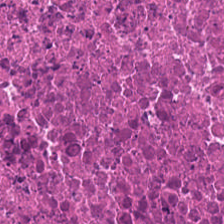Impression — debris.
